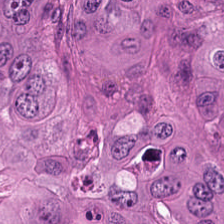224×224 px patch · hematoxylin-and-eosin stained section. This field is adenocarcinoma.
